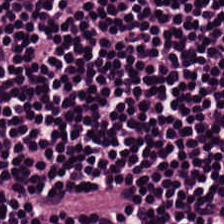H&E-stained section; the field shows lymphocytic infiltrate.
